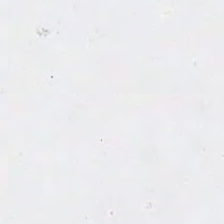Hematoxylin-and-eosin stained section — Classification: empty background.
